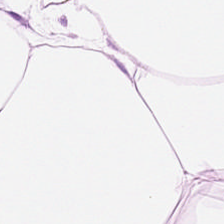Hematoxylin-and-eosin stained section · brightfield · 224×224 px tile. This patch shows adipose tissue.
